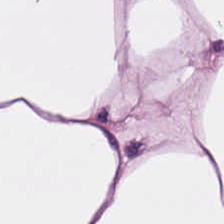Stain: hematoxylin-and-eosin stained section.
Preparation: FFPE tissue section.
Tissue type: adipose tissue.
